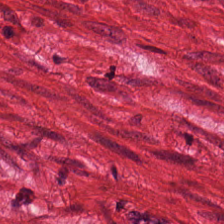Classification = smooth muscle.
